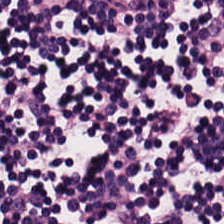Stain: H&E-stained tissue section.
Tissue class: lymphoid infiltrate.
